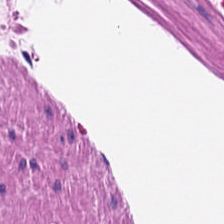Hematoxylin-and-eosin stained section; brightfield microscopy; 224×224 px tile — Q: Identify the tissue.
A: This is smooth-muscle tissue.
